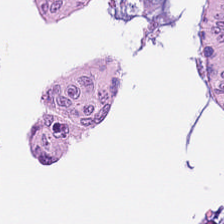Stain: H&E.
Classification: colorectal adenocarcinoma.
